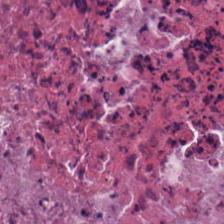This field is necrotic debris.
